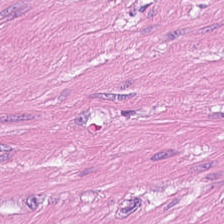H&E; brightfield microscopy.
Q: What is shown here?
A: This is smooth muscle.
